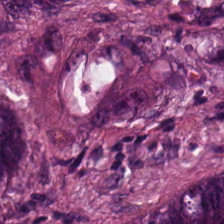H&E stain; FFPE tissue section; 224×224 px patch. Q: What does this patch show?
A: This is tumor epithelium.
